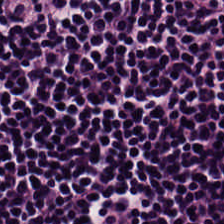224×224 px patch · 0.5 µm per pixel · H&E stain. Tissue type — lymphocytes.
